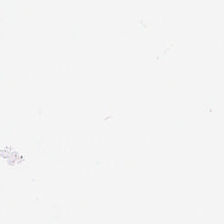This patch shows background.
